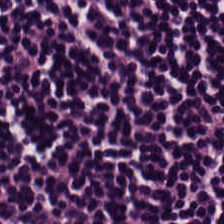H&E. Showing lymphoid infiltrate.
